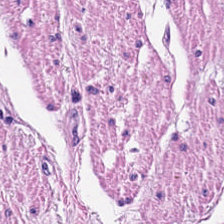Histology — smooth-muscle tissue.
